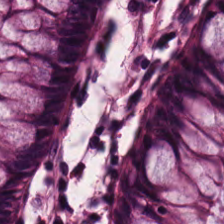Hematoxylin-and-eosin stained section. Tissue = benign colonic mucosa.
